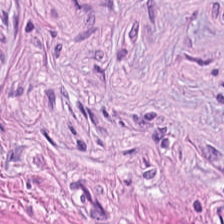224×224 px tile. H&E-stained tissue section.
Smooth muscle.
